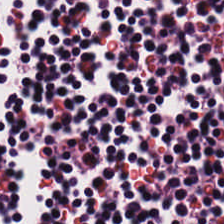H&E.
Q: What type of tissue is this?
A: The field shows lymphoid infiltrate.
